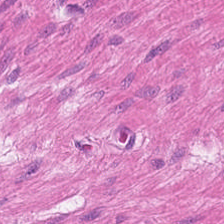Stain: hematoxylin-and-eosin stained section.
Classification: muscularis.
